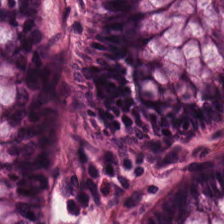Stain: H&E-stained tissue section.
Tissue class: normal colon mucosa.
